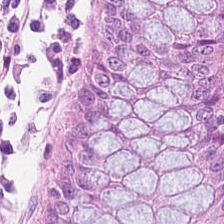The tissue is benign colonic mucosa.
